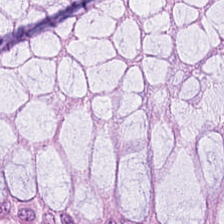Hematoxylin and eosin; FFPE.
Classification: non-neoplastic colon mucosa.
